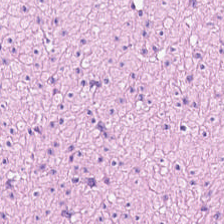H&E-stained tissue section. The tissue here is muscularis.
